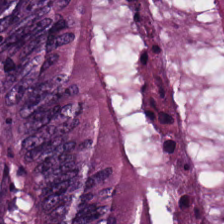WSI patch. 0.5 µm per pixel. H&E-stained tissue section.
Predominantly colorectal adenocarcinoma epithelium.
